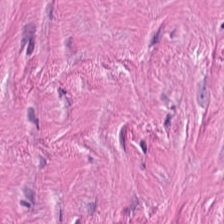Stain: hematoxylin and eosin.
Resolution: 20× equivalent magnification.
Tissue class: tumor-associated stroma.
